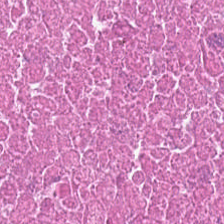Formalin-fixed paraffin-embedded section. H&E-stained tissue section.
Necrotic debris.
